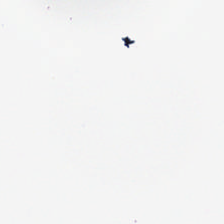H&E. Content = background.
